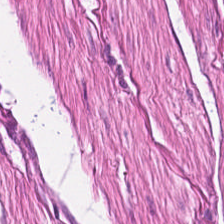Hematoxylin-and-eosin stained section — Finding — muscularis.
